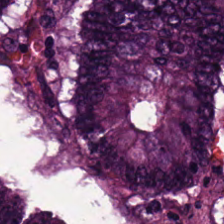Colorectal adenocarcinoma epithelium.
